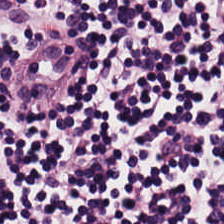H&E-stained tissue section. 224×224 px tile.
Q: Classify this patch.
A: The field shows lymphocytic infiltrate.
